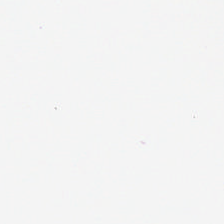H&E-stained tissue section. Background — no tissue in this field.
